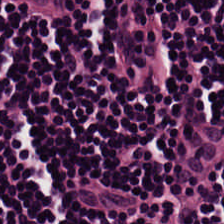Brightfield. H&E-stained tissue section. 224×224 px tile — Impression → lymphoid infiltrate.
